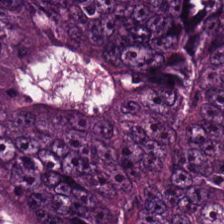224×224 px tile; H&E stain.
Tissue — adenocarcinoma.
